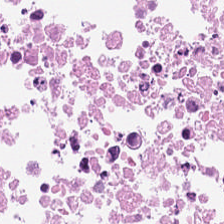H&E stain — The predominant tissue is debris.
